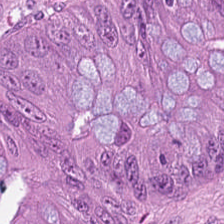Whole-slide-image patch. Hematoxylin-and-eosin stained section. 224×224 px tile.
The predominant tissue is adenocarcinoma.
